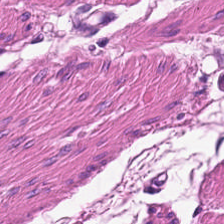Smooth-muscle tissue.
